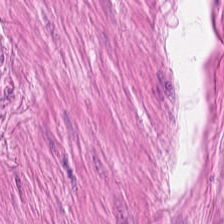H&E. This field is smooth-muscle tissue.
